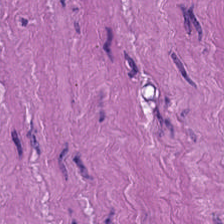Q: Classify this patch.
A: This is smooth-muscle tissue.
